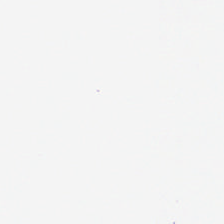Field content = background (no tissue).
